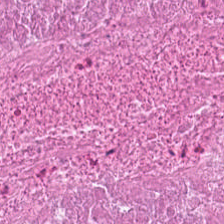H&E; 0.5 µm/px. Tissue = necrotic debris.
